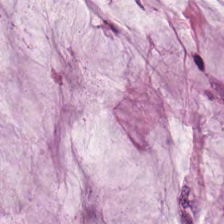H&E — Q: What does this patch show?
A: This is extracellular mucin.
